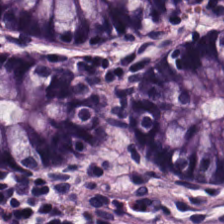The tissue is normal colon mucosa.
